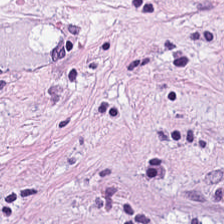Stain: hematoxylin-and-eosin stained section.
Classification: cancer-associated stroma.
